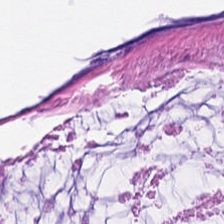Stain: H&E stain.
Classification: extracellular mucin.
